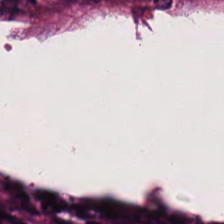Stain: H&E-stained tissue section.
Preparation: FFPE.
Tissue: malignant epithelium.
